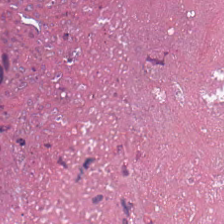H&E. 0.5 µm per pixel. Classification — debris.
